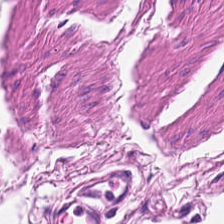Hematoxylin and eosin; 20× equivalent magnification.
{"tissue_type": "smooth-muscle tissue"}
